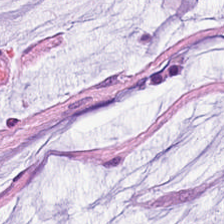224×224 px patch. 0.5 µm per pixel. Hematoxylin and eosin — This field is extracellular mucin.
